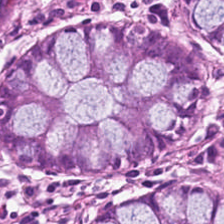Q: What type of tissue is this?
A: This is normal colon mucosa.
